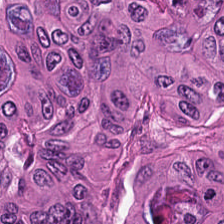H&E stain. Classification: malignant epithelium.
